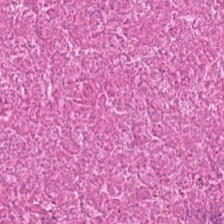This patch shows debris.
